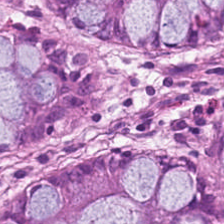H&E — {"tissue_type": "normal colon mucosa"}
